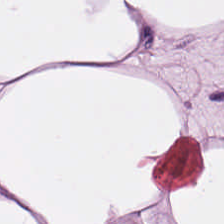WSI patch; 0.5 µm per pixel; hematoxylin and eosin — Classification — adipocytes.
